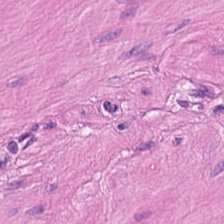Impression — smooth-muscle tissue.
